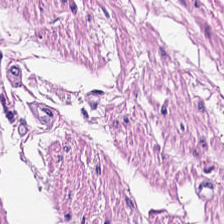Q: Identify the tissue.
A: It is muscularis.
